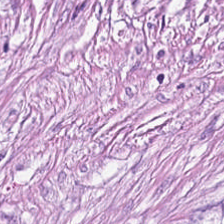Whole-slide-image patch. 0.5 µm per pixel. Hematoxylin and eosin. The tissue here is tumor stroma.
